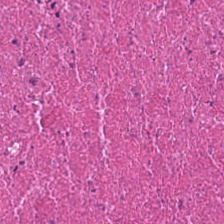H&E. Histology — cellular debris.
